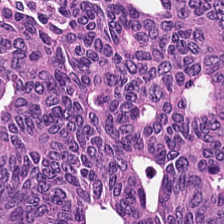H&E stain; brightfield microscopy — Histology → adenocarcinoma.
